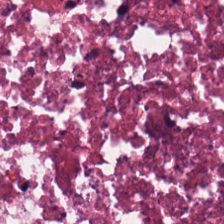{"tissue_type": "cellular debris"}
